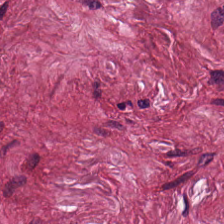Hematoxylin-and-eosin stained section; 224×224 px patch; whole-slide-image patch — Q: Identify the tissue.
A: The field shows tumor stroma.
